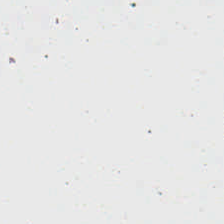Hematoxylin-and-eosin stained section; whole-slide-image patch — This field is background (no tissue).
